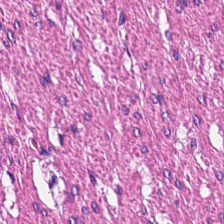Tissue type = smooth muscle.
